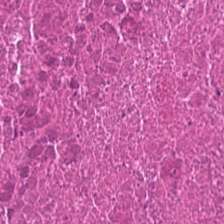Brightfield microscopy. H&E.
Finding — cellular debris.
